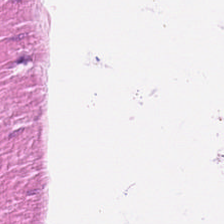Q: Classify this patch.
A: Smooth-muscle tissue.
